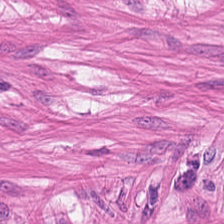H&E-stained tissue section showing smooth muscle.
